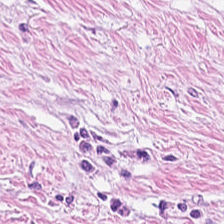Hematoxylin and eosin. Formalin-fixed paraffin-embedded section.
Q: What does this patch show?
A: Tumor stroma.
